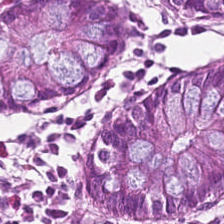Hematoxylin and eosin.
The classification is non-neoplastic colon mucosa.
